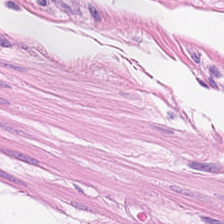H&E-stained tissue section — The predominant tissue is smooth-muscle tissue.
